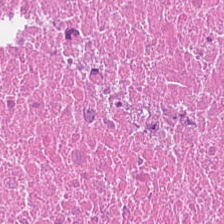Hematoxylin-and-eosin stained section.
Q: What type of tissue is this?
A: The field shows necrotic debris.
